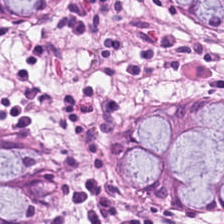Hematoxylin and eosin. Histology → normal colon mucosa.
